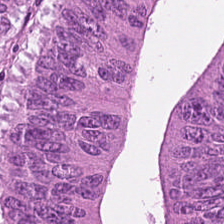Tissue — malignant epithelium.
